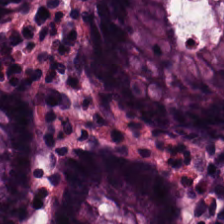The tissue is non-neoplastic colon mucosa.
